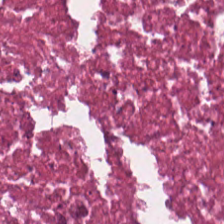WSI patch; FFPE tissue section; H&E stain.
Cellular debris.
